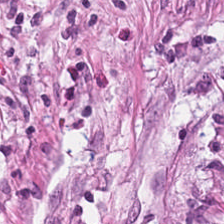H&E stain.
Tissue = tumor stroma.
